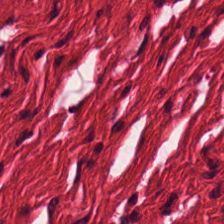Predominant tissue: muscularis.
